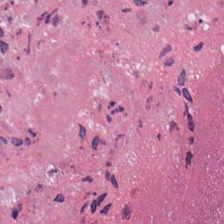The tissue class is debris.
